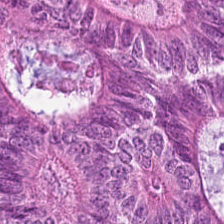{"tissue_type": "colorectal adenocarcinoma"}
